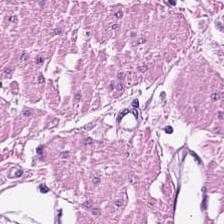H&E-stained tissue section · 0.5 microns per pixel. Histology — muscularis.
